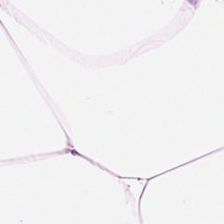H&E stain.
Tissue class: adipocytes.
